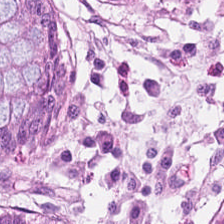Hematoxylin and eosin · brightfield — Showing non-neoplastic colon mucosa.
